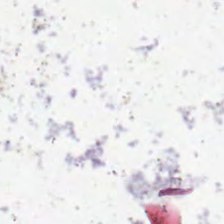Hematoxylin and eosin — No tissue present; background only.
